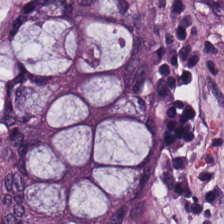Hematoxylin and eosin; 224×224 px patch. Q: What does this patch show?
A: It is normal colonic mucosa.
